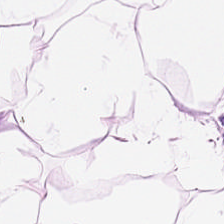FFPE · H&E-stained tissue section. The tissue here is adipose.
